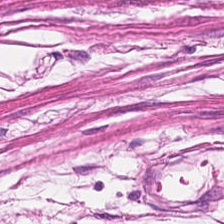H&E stain. This patch shows smooth-muscle tissue.
